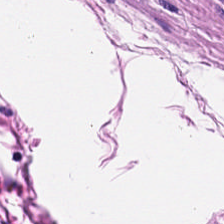Stain: H&E stain.
Predominant tissue: smooth-muscle tissue.
